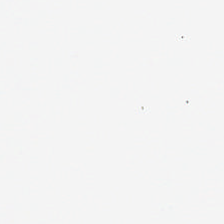H&E. The content is background.
